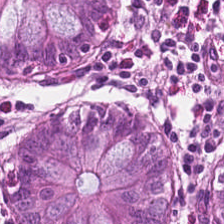Hematoxylin and eosin — Tissue: non-neoplastic colon mucosa.
